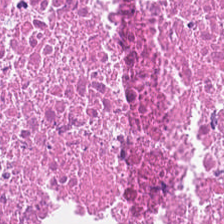Hematoxylin-and-eosin stained section.
Showing necrotic debris.
